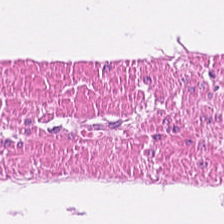H&E. FFPE. The tissue here is muscularis.
